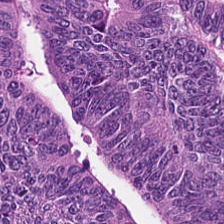H&E stain.
Predominant tissue — tumor epithelium.
